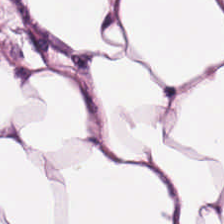Hematoxylin-and-eosin stained section · FFPE · 0.5 microns per pixel.
Classification: adipocytes.
